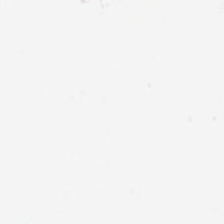H&E stain.
Impression → background (no tissue).
